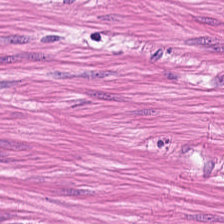Whole-slide-image patch; H&E-stained tissue section; FFPE — Classification: muscularis.
